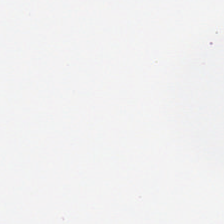Brightfield microscopy; H&E stain; 0.5 microns per pixel — Background (no tissue).
